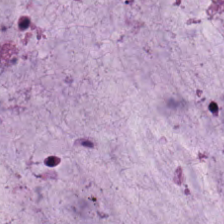The tissue is mucus.
